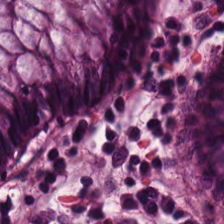Stain: hematoxylin and eosin.
Tissue type: normal colonic mucosa.
